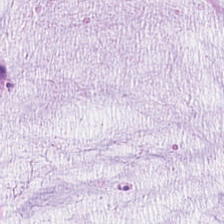Tissue = extracellular mucin.
